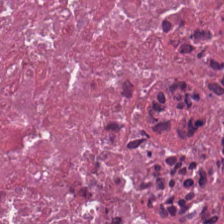Histology — cellular debris.
